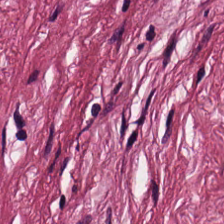Tissue: tumor-associated stroma.
